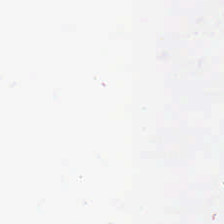This patch shows empty background.
